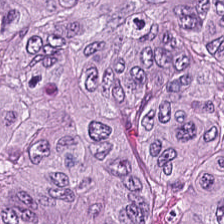H&E stain. The tissue here is adenocarcinoma.
